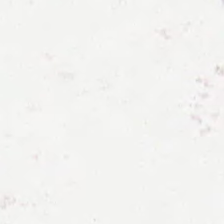Hematoxylin and eosin · brightfield microscopy · formalin-fixed paraffin-embedded section — Background (no tissue).
